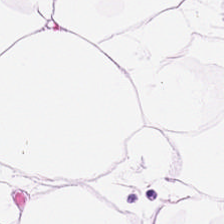Stain: H&E stain.
Tile size: 224×224 px patch.
Tissue type: fat tissue.
